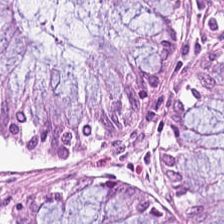Hematoxylin-and-eosin stained section. Brightfield.
Q: What does this patch show?
A: This is non-neoplastic colon mucosa.
